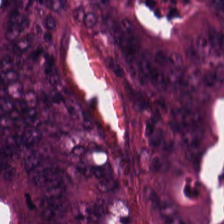Tissue class = adenocarcinoma.
